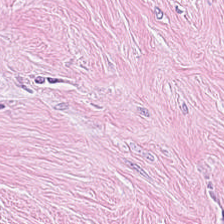Tissue type — tumor stroma.
